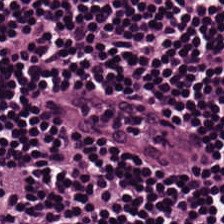Q: Classify this patch.
A: Lymphocytes.
